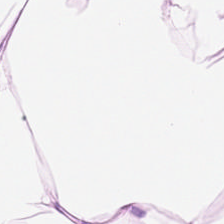The tissue type is adipose tissue.
